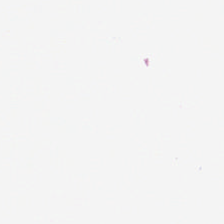H&E-stained tissue section — Empty field — background.
